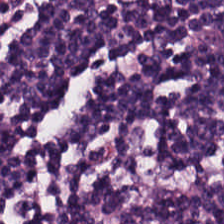Stain: hematoxylin and eosin.
Acquisition: whole-slide-image patch.
Resolution: 0.5 µm per pixel.
Predominant tissue: lymphocytic infiltrate.
